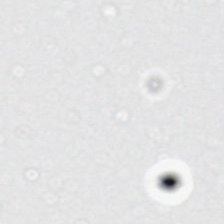Content — empty background.
